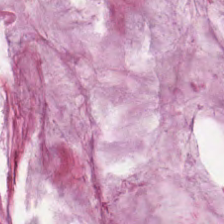H&E.
Finding — mucin.
